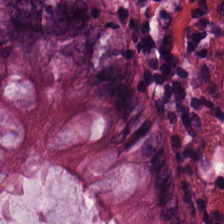Hematoxylin-and-eosin stained section; 0.5 microns per pixel; FFPE.
{"tissue_type": "normal colonic mucosa"}
